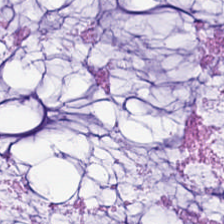Predominant tissue: extracellular mucin.
